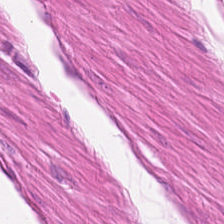Hematoxylin-and-eosin stained section. Q: What does this patch show?
A: This is smooth-muscle tissue.
